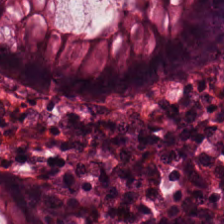H&E-stained tissue section.
Q: What is the predominant tissue type?
A: Non-neoplastic colon mucosa.
